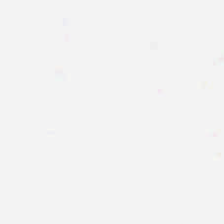Q: What does this patch show?
A: The field shows background.
